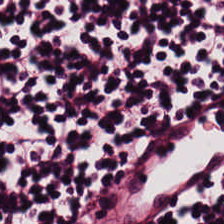H&E.
Classification: lymphocyte aggregate.
